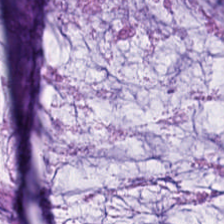Q: What is shown in this field?
A: The field shows extracellular mucin.
